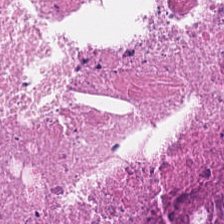Hematoxylin and eosin — The predominant tissue is debris.
